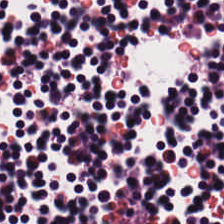Q: Classify this patch.
A: This is lymphocytic infiltrate.
